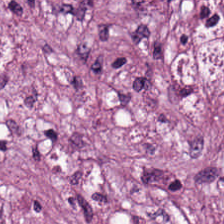H&E-stained tissue section — Q: What does this patch show?
A: This is cancer-associated stroma.
